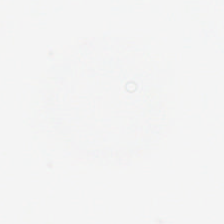Hematoxylin-and-eosin stained section.
Q: Classify this patch.
A: This is background (no tissue).
